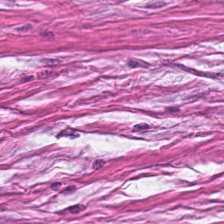FFPE tissue section; hematoxylin-and-eosin stained section — Q: Classify this patch.
A: The field shows desmoplastic stroma.
